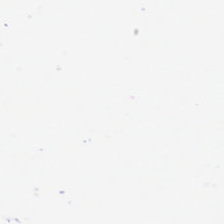H&E-stained tissue section — Field content — empty background.
